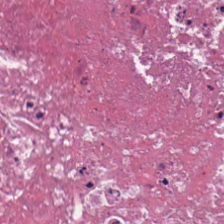Formalin-fixed paraffin-embedded section; H&E. Predominant tissue — debris.
